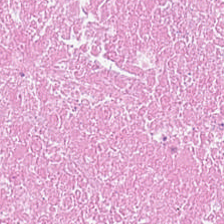Hematoxylin and eosin.
Necrotic debris.
